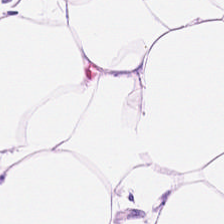Stain: H&E stain.
Tile size: 224×224 pixel tile.
Acquisition: WSI patch.
Classification: adipose tissue.
